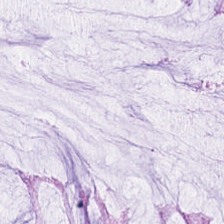Q: What is shown in this field?
A: Non-neoplastic colon mucosa.
